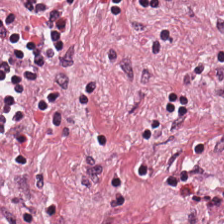H&E stain; 224×224 pixel tile — Impression — tumor-associated stroma.
